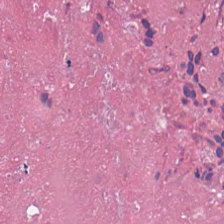H&E — debris.
